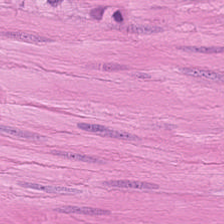Hematoxylin and eosin — Tissue class = muscularis.
